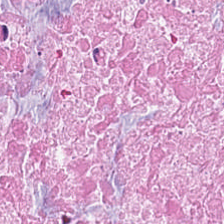0.5 µm/px. H&E stain.
Q: What does this patch show?
A: Necrotic debris.
